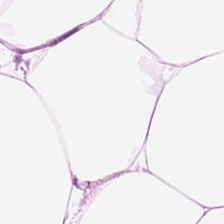WSI patch. H&E.
Impression — fat tissue.
